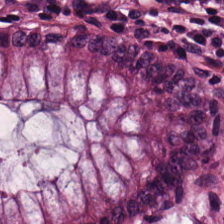Stain: H&E.
Tissue class: benign colonic mucosa.
